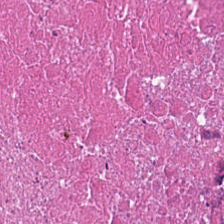Hematoxylin and eosin.
The tissue here is necrotic debris.
